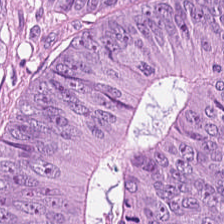Tissue type = colorectal adenocarcinoma.
